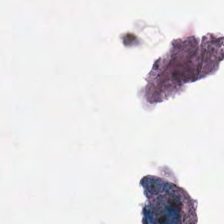Hematoxylin and eosin.
Q: What does this patch show?
A: The field shows background (no tissue).
